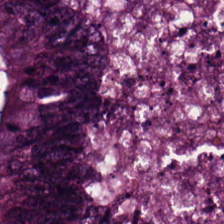Hematoxylin and eosin — Tissue — malignant epithelium.
